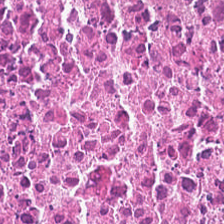Stain: H&E.
Tissue type: cellular debris.
